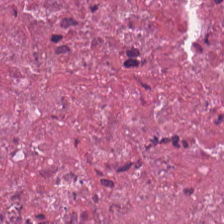Hematoxylin and eosin; FFPE — This patch shows debris.
